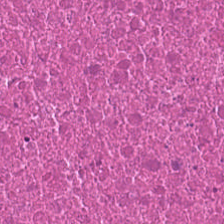H&E-stained tissue section. Histology → cellular debris.
